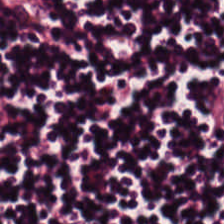Hematoxylin-and-eosin stained section · 0.5 µm per pixel · brightfield.
This patch shows lymphoid infiltrate.
